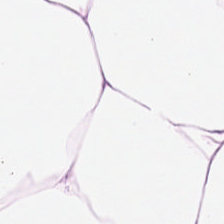Impression — adipose tissue.
